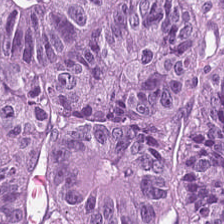H&E-stained tissue section. {"tissue_type": "tumor epithelium"}
